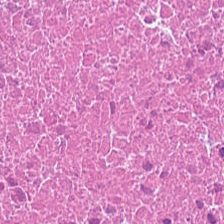H&E · 224×224 pixel tile — The predominant tissue is debris.
